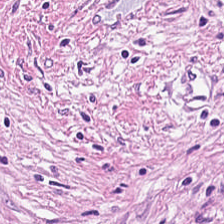Stain: H&E stain.
Tissue: tumor stroma.
